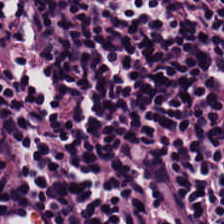H&E; 0.5 µm/px.
Predominant tissue — lymphocyte aggregate.
